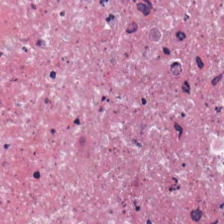Showing debris.
